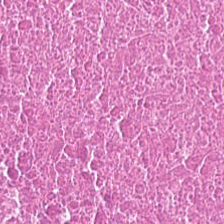H&E-stained tissue section; formalin-fixed paraffin-embedded section.
Finding — necrotic debris.
